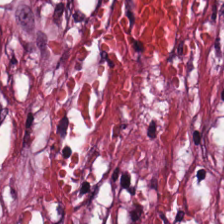0.5 microns per pixel; H&E; 224×224 pixel tile.
The tissue here is desmoplastic stroma.
